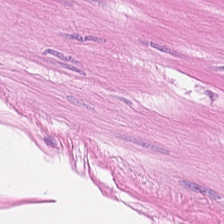H&E patch showing smooth-muscle tissue.
